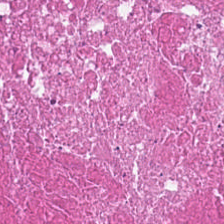{"tissue_type": "cellular debris"}
